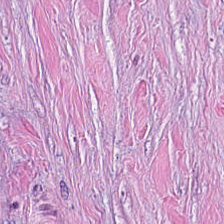H&E stain — Predominantly cancer-associated stroma.
